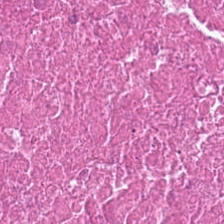Hematoxylin-and-eosin stained section; FFPE tissue section; brightfield microscopy. Classification = cellular debris.
